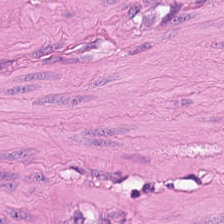Brightfield; FFPE tissue section; H&E.
This field is smooth muscle.
